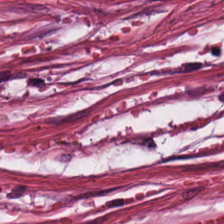The tissue here is desmoplastic stroma.
